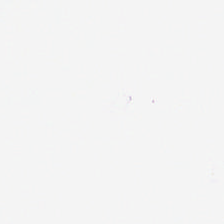H&E. The field content is background.
